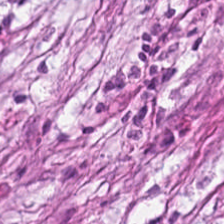Tissue class = cancer-associated stroma.
